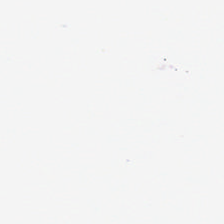H&E stain — The field content is background.
